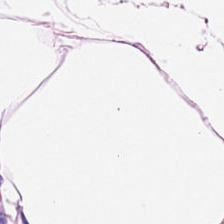Stain: H&E.
Tissue: fat tissue.
